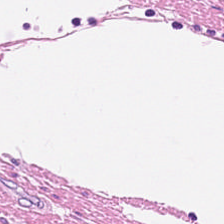Hematoxylin-and-eosin stained section — Classification — muscularis.
